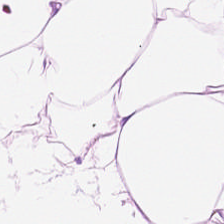Hematoxylin-and-eosin stained section — Impression → adipocytes.
